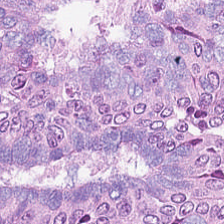H&E; formalin-fixed paraffin-embedded section — Showing colorectal adenocarcinoma.
